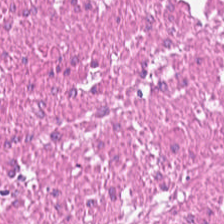The tissue type is smooth muscle.
